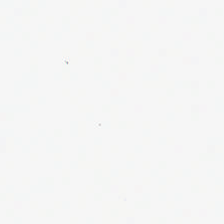224×224 px tile. H&E — Background.
